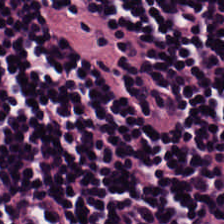Hematoxylin-and-eosin stained section.
Q: What tissue type is shown here?
A: The field shows lymphoid infiltrate.
